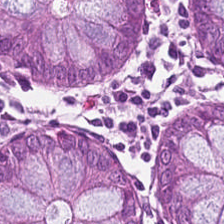The classification is normal colonic mucosa.
